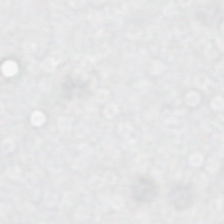H&E.
Classification = background (no tissue).
